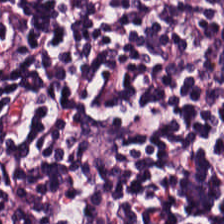H&E. Brightfield.
This field is lymphocytes.
